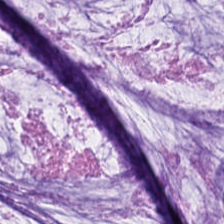Histology → extracellular mucin.
